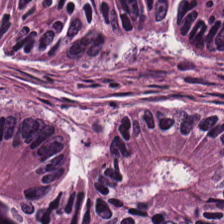H&E. Formalin-fixed paraffin-embedded section.
Tissue = adenocarcinoma.
